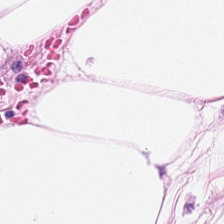Stain: H&E.
Acquisition: brightfield microscopy.
Classification: adipose tissue.
